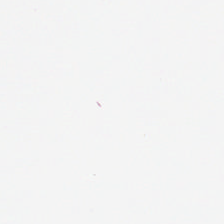Stain: H&E.
Tile size: 224×224 pixel tile.
Field content: empty background.
